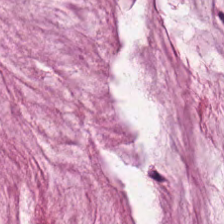H&E-stained tissue section — Q: What is shown in this field?
A: Mucus.
